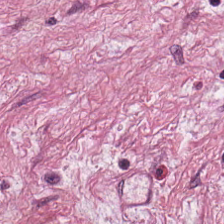Hematoxylin-and-eosin stained section — Q: What tissue type is shown here?
A: This is cancer-associated stroma.
